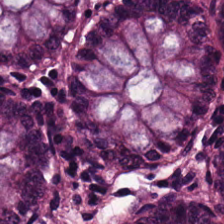224×224 px patch. H&E-stained tissue section. 20× equivalent magnification — The tissue is normal colonic mucosa.
